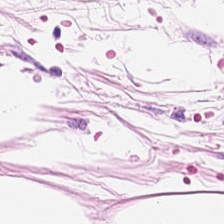Q: Identify the tissue.
A: This is adipose.
